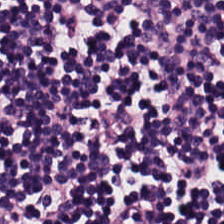Tissue — lymphocyte aggregate.
